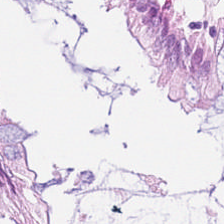Tissue type — normal colonic mucosa.
